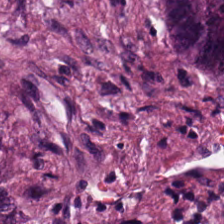H&E. Showing tumor epithelium.
